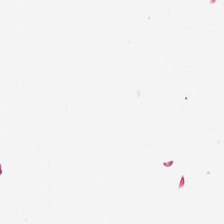The content is background.
